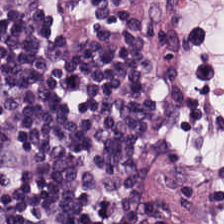Hematoxylin-and-eosin stained section. Tissue = lymphocytic infiltrate.
